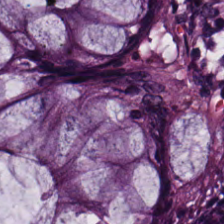H&E stain. Impression → non-neoplastic colon mucosa.
